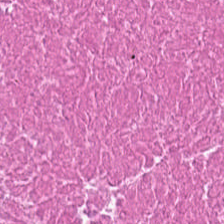FFPE; H&E-stained tissue section — Q: What type of tissue is this?
A: The field shows cellular debris.
